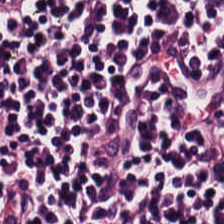Hematoxylin-and-eosin stained section.
This patch shows lymphocyte aggregate.
